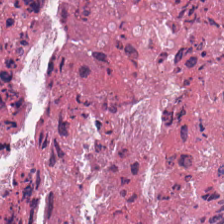Hematoxylin-and-eosin stained section. The predominant tissue is cellular debris.
